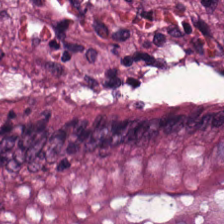Hematoxylin-and-eosin stained section; 224×224 pixel tile. This field is normal colon mucosa.
